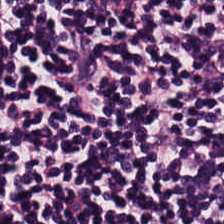H&E. Predominant tissue — lymphoid infiltrate.
